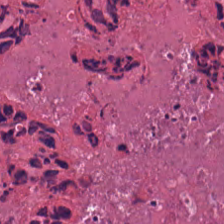Hematoxylin and eosin — The predominant tissue is cellular debris.
